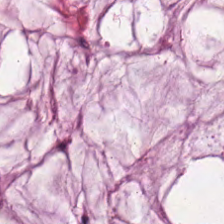FFPE tissue section; H&E.
Tissue type = mucin.
